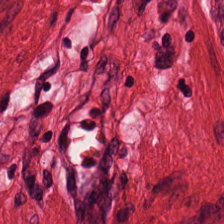H&E stain · formalin-fixed paraffin-embedded section — This patch shows smooth muscle.
